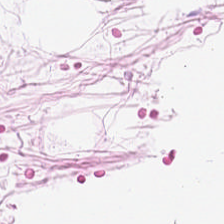Hematoxylin and eosin — Finding — adipose.
